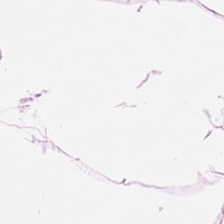Hematoxylin-and-eosin stained section.
Histology → adipose.
